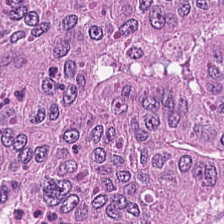H&E.
Tissue = adenocarcinoma.
